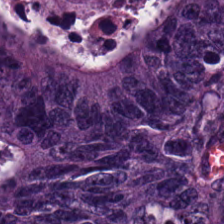H&E. Formalin-fixed paraffin-embedded section — Q: Identify the tissue.
A: The field shows malignant epithelium.
